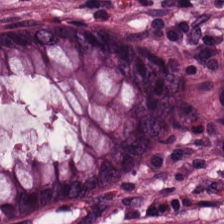H&E — Finding — benign colonic mucosa.
